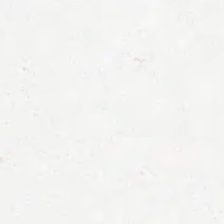0.5 µm per pixel · H&E stain · 224×224 px tile.
Background (no tissue).
